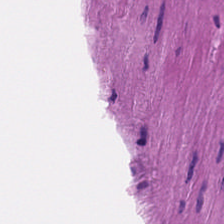Tissue class = smooth-muscle tissue.
